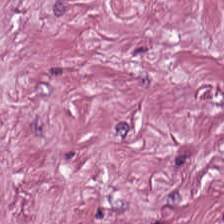Stain: H&E-stained tissue section.
Resolution: 0.5 µm/px.
Classification: tumor-associated stroma.
